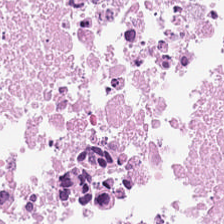H&E stain. {"tissue_type": "cellular debris"}
